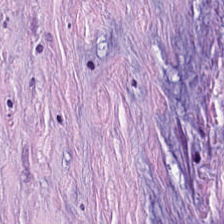224×224 px patch · H&E stain · brightfield — The tissue is tumor-associated stroma.
